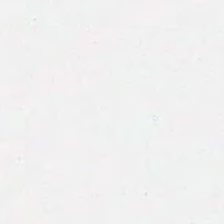Stain: H&E stain.
Field content: background (no tissue).
